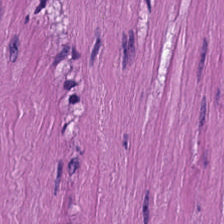Brightfield microscopy · hematoxylin-and-eosin stained section — Predominantly muscularis.
